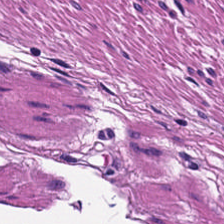Hematoxylin-and-eosin stained section. This field is muscularis.
